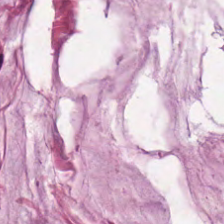Classification = mucus.
